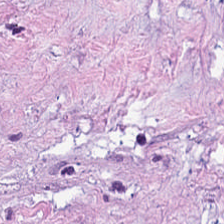H&E stain.
Impression → tumor stroma.
